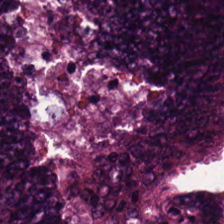H&E. Q: What does this patch show?
A: Adenocarcinoma.
